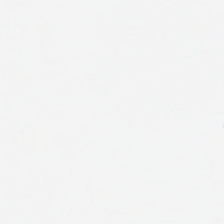Q: Classify this patch.
A: Background (no tissue).
